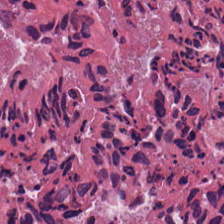H&E-stained tissue section. Q: What tissue is shown?
A: The field shows cellular debris.
